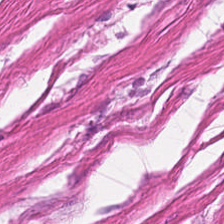H&E stain; FFPE tissue section. This patch shows smooth muscle.
